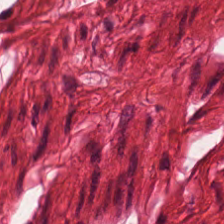Hematoxylin-and-eosin section: smooth-muscle tissue.
